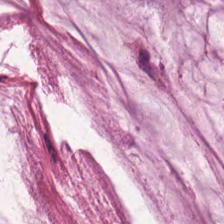Hematoxylin-and-eosin stained section.
{"tissue_type": "mucus"}
